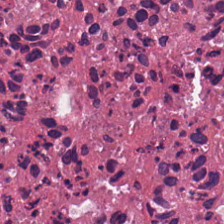Stain: H&E stain.
Preparation: formalin-fixed paraffin-embedded section.
Tissue class: necrotic debris.
